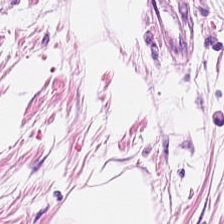Hematoxylin-and-eosin stained section. The classification is adipose tissue.
